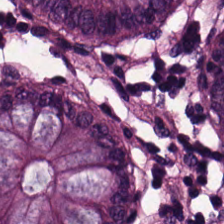H&E — This patch shows normal colon mucosa.
